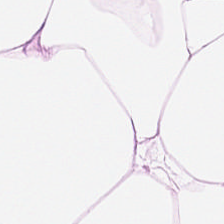H&E-stained tissue section · brightfield · 20× equivalent magnification. Showing fat tissue.
